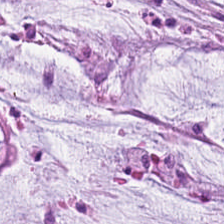H&E stain — This patch shows mucus.
